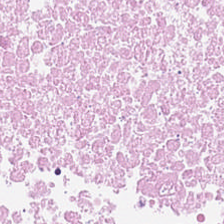H&E-stained tissue section showing necrotic debris.
